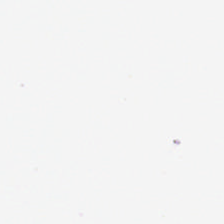{"content": "background (no tissue)"}
